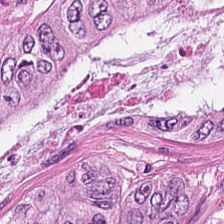H&E stain — The predominant tissue is malignant epithelium.
